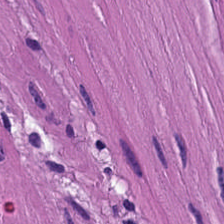H&E stain — Q: What is shown here?
A: It is smooth muscle.
